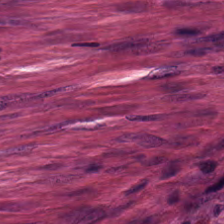H&E stain.
Histology — tumor stroma.
